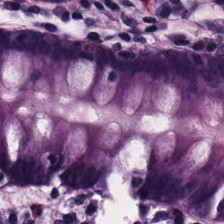H&E. The predominant tissue is normal colonic mucosa.
